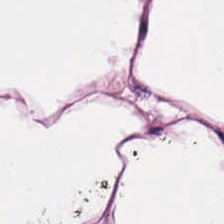Hematoxylin-and-eosin stained section. 0.5 µm per pixel — Tissue — fat tissue.
